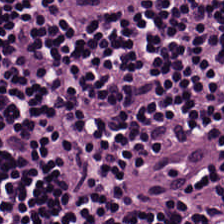H&E-stained tissue section. FFPE tissue section.
Predominantly lymphoid infiltrate.
